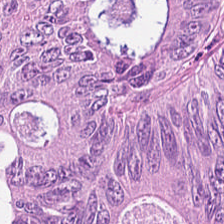Hematoxylin-and-eosin stained section.
Tissue type — colorectal adenocarcinoma epithelium.
